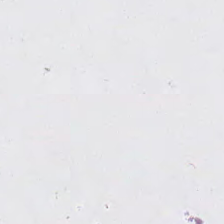This field is background (no tissue).
